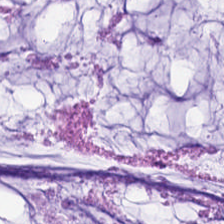Stain: H&E.
Resolution: 0.5 microns per pixel.
Tissue type: extracellular mucin.
